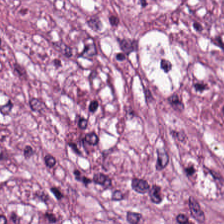Hematoxylin and eosin. Q: Classify this patch.
A: The field shows tumor stroma.
